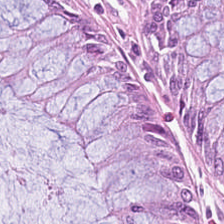Tissue type — normal colonic mucosa.
